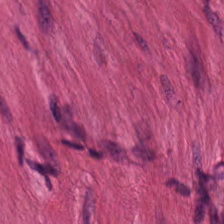Hematoxylin and eosin — The tissue is smooth-muscle tissue.
